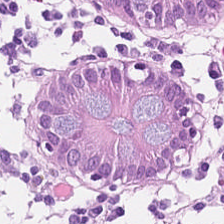Q: What is shown in this field?
A: The field shows normal colonic mucosa.
